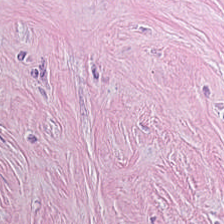Hematoxylin-and-eosin stained section; FFPE tissue section — Q: What is shown here?
A: The field shows tumor stroma.
